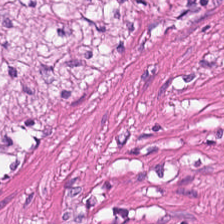H&E-stained tissue section. 0.5 microns per pixel.
This field is muscularis.
